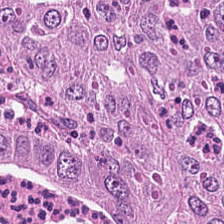H&E-stained tissue section. 224×224 px patch. 0.5 microns per pixel — This field is adenocarcinoma.
